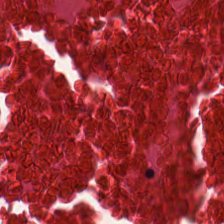Q: What does this patch show?
A: This is necrotic debris.
